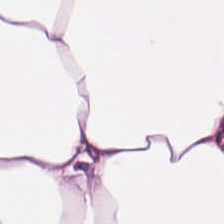Hematoxylin-and-eosin stained section; 224×224 px tile; 0.5 µm/px.
Tissue = adipose.
